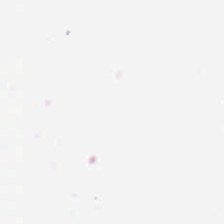H&E-stained tissue section · 0.5 µm/px · 224×224 px patch. {"content": "background"}
